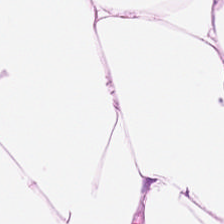Hematoxylin-and-eosin stained section. Q: Identify the tissue.
A: Adipose.
